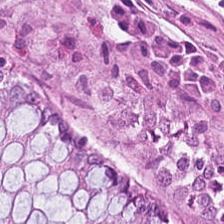224×224 px patch · H&E — This field is normal colonic mucosa.
